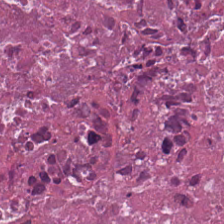H&E stain. 224×224 px tile. FFPE.
Q: What does this patch show?
A: The field shows debris.
